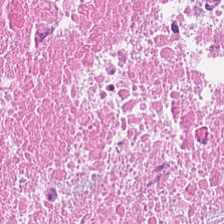The tissue is necrotic debris.
